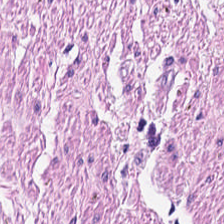{"tissue_type": "muscularis"}
